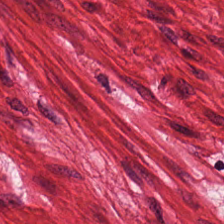Predominant tissue — smooth muscle.
